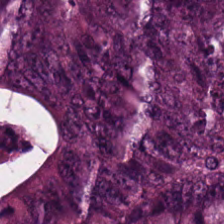The tissue here is colorectal adenocarcinoma.
